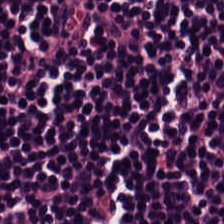Brightfield. H&E-stained tissue section.
Q: What type of tissue is this?
A: The field shows lymphocytic infiltrate.
